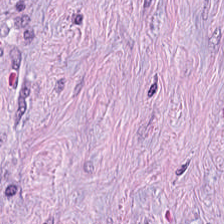H&E-stained tissue section. The tissue is tumor stroma.
